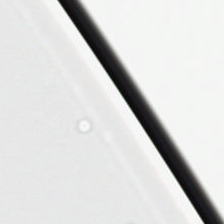Brightfield · hematoxylin and eosin · 0.5 µm/px. Q: What is shown here?
A: This is background.
